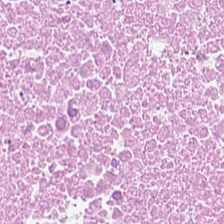Hematoxylin-and-eosin stained section · formalin-fixed paraffin-embedded section. Impression → debris.
